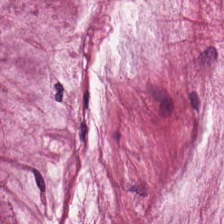Hematoxylin-and-eosin stained section — Showing mucin.
